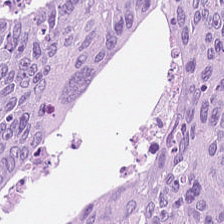Hematoxylin-and-eosin section: adenocarcinoma.
